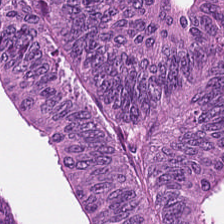Hematoxylin-and-eosin stained section. FFPE tissue section. The predominant tissue is malignant epithelium.
